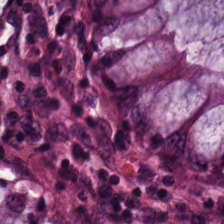Tissue = non-neoplastic colon mucosa.
